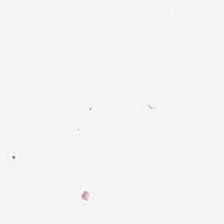Hematoxylin-and-eosin stained section. FFPE tissue section.
Histology — background (no tissue).
